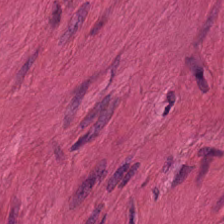WSI patch · hematoxylin-and-eosin stained section · 224×224 pixel tile — Q: What is the predominant tissue type?
A: Smooth-muscle tissue.
